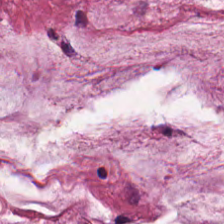H&E · 224×224 pixel tile — Showing mucin.
